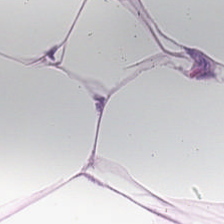WSI patch; H&E.
Tissue type = adipocytes.
